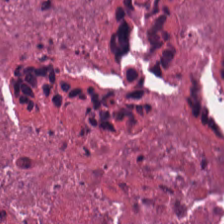Hematoxylin-and-eosin stained section; 224×224 pixel tile.
The tissue here is necrotic debris.
